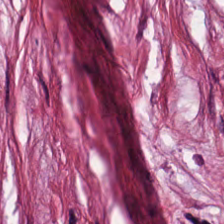H&E-stained tissue section. Tumor stroma.
